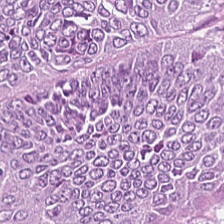Hematoxylin and eosin. Classification — colorectal adenocarcinoma epithelium.
